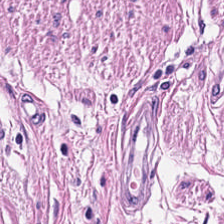The tissue here is muscularis.
